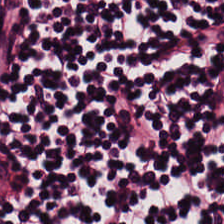0.5 microns per pixel. Hematoxylin and eosin.
Predominantly lymphoid infiltrate.
